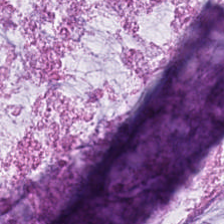H&E-stained tissue section — Tissue class = mucin.
